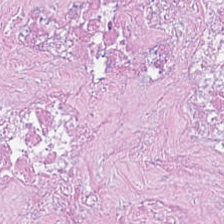Stain: H&E.
Resolution: 0.5 µm/px.
Tissue type: debris.
